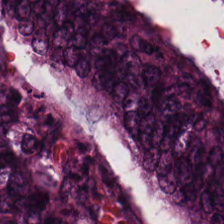FFPE · H&E stain — Histology → colorectal adenocarcinoma.
